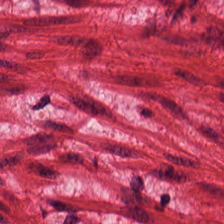Impression → smooth muscle.
